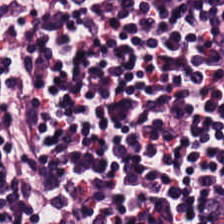Stain: H&E-stained tissue section.
Preparation: formalin-fixed paraffin-embedded section.
Tissue class: lymphocytic infiltrate.
